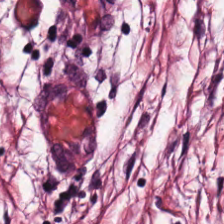H&E-stained tissue section. The tissue here is cancer-associated stroma.
